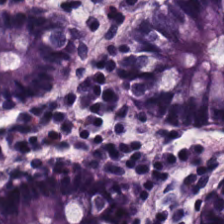Classification: non-neoplastic colon mucosa.
